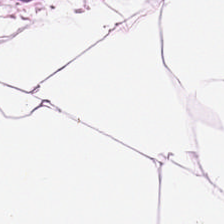H&E-stained tissue section. 224×224 px tile.
The predominant tissue is adipose.
